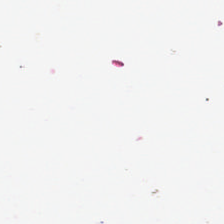Brightfield · hematoxylin and eosin — Background — no tissue in this field.
